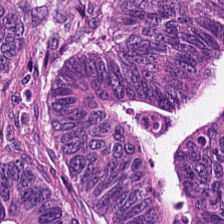Hematoxylin-and-eosin stained section.
Finding → malignant epithelium.
